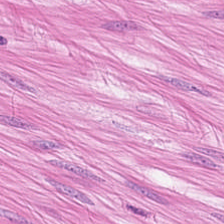Hematoxylin-and-eosin stained section — Predominantly muscularis.
